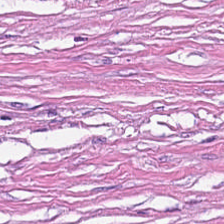224×224 px patch · 0.5 µm per pixel · H&E stain. Q: What is shown in this field?
A: Tumor-associated stroma.
